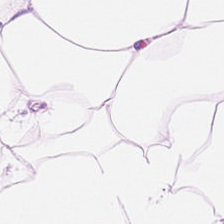Histology → adipose.
